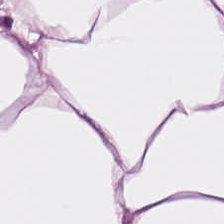Hematoxylin and eosin. 0.5 µm per pixel. Brightfield — The classification is fat tissue.
